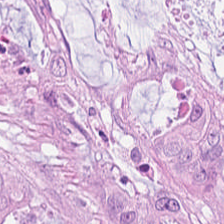H&E-stained tissue section — Malignant epithelium.
